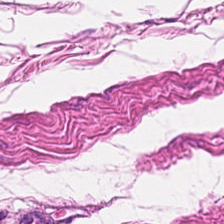Whole-slide-image patch; H&E stain.
Q: Identify the tissue.
A: Muscularis.
